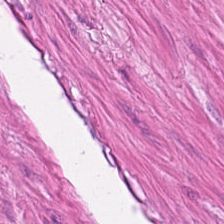H&E stain.
This patch shows muscularis.
